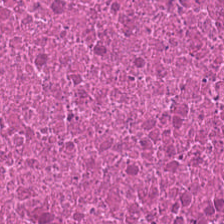Tissue = cellular debris.
